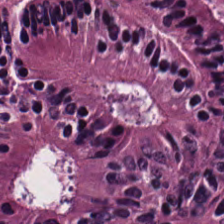H&E stain; formalin-fixed paraffin-embedded section. Tissue class: colorectal adenocarcinoma.
